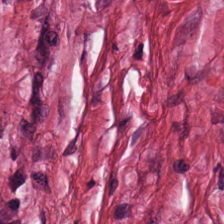Stain: H&E.
Classification: desmoplastic stroma.
